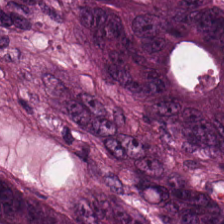Hematoxylin-and-eosin stained section; whole-slide-image patch; 224×224 px tile. The tissue is adenocarcinoma.
